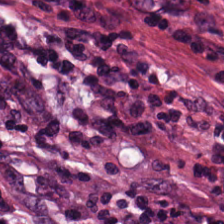H&E · 224×224 pixel tile.
Classification = cancer-associated stroma.
